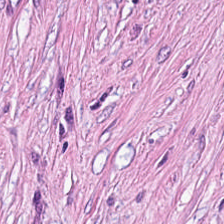This field is tumor stroma.
